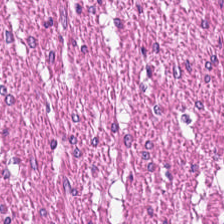H&E stain — Q: What is shown in this field?
A: Smooth-muscle tissue.
